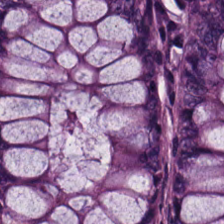Hematoxylin and eosin.
Classification = normal colon mucosa.
